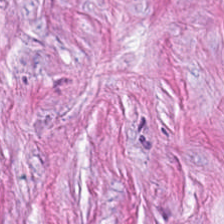Tissue class — tumor stroma.
